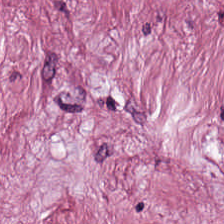Q: What is the predominant tissue type?
A: It is tumor stroma.
